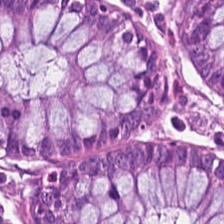Stain: hematoxylin and eosin.
Tissue class: normal colonic mucosa.
